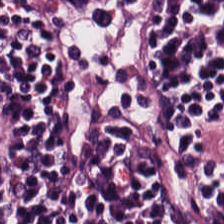Hematoxylin and eosin; WSI patch — Showing lymphocytes.
